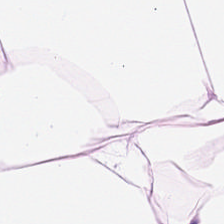The tissue type is adipose.
